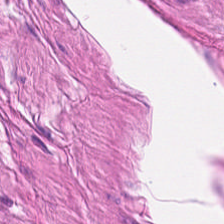Stain: H&E stain.
Acquisition: WSI patch.
Tissue: smooth muscle.
